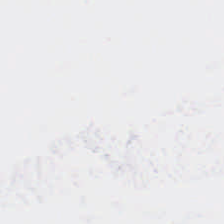Stain: hematoxylin and eosin.
Field content: no tissue.
